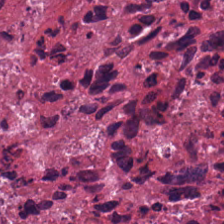Hematoxylin and eosin; 0.5 microns per pixel.
Predominantly cellular debris.
